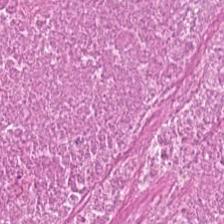Stain: H&E.
Tissue type: cellular debris.
